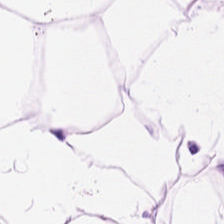Hematoxylin and eosin.
Predominantly adipocytes.
